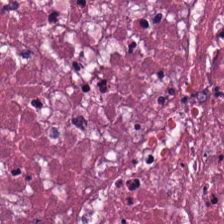224×224 px patch; H&E — Predominant tissue — debris.
